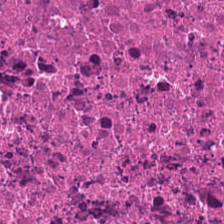H&E-stained tissue section — Tissue class = cellular debris.
